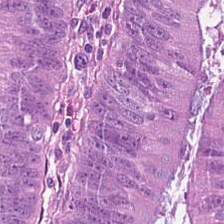Hematoxylin-and-eosin stained section. Tissue — adenocarcinoma.
